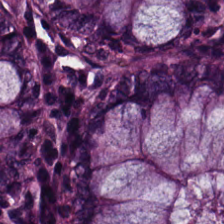Classification — benign colonic mucosa.
